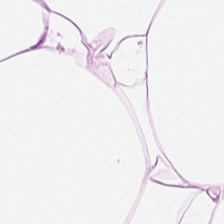Hematoxylin and eosin. Q: What type of tissue is this?
A: This is adipose.
